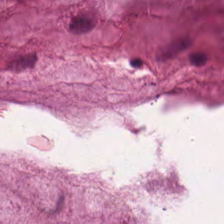H&E. FFPE tissue section. 224×224 px tile — Tissue type — mucin.
